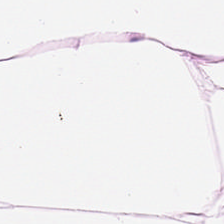H&E. Tissue class: fat tissue.
